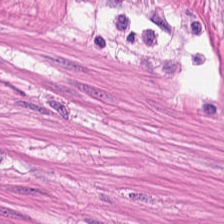Tissue: muscularis.
